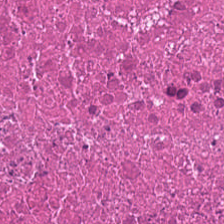H&E stain; 0.5 µm/px. Impression → debris.
